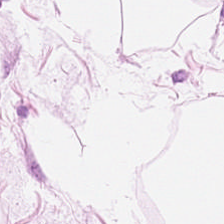Hematoxylin-and-eosin stained section. Predominantly fat tissue.
